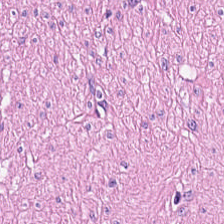Brightfield. Hematoxylin and eosin. 224×224 px patch. This patch shows smooth-muscle tissue.
